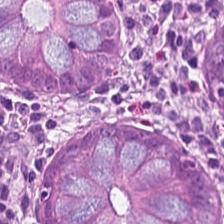FFPE tissue section. Hematoxylin and eosin. 224×224 pixel tile — {"tissue_type": "benign colonic mucosa"}
